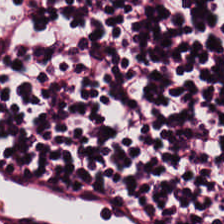224×224 px patch; H&E-stained tissue section.
The tissue is lymphoid infiltrate.
